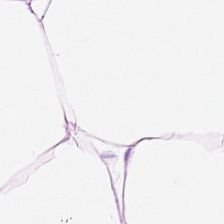224×224 px patch · hematoxylin-and-eosin stained section · FFPE.
This field is adipose tissue.
